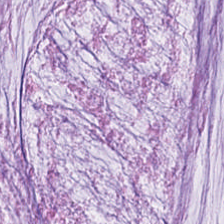H&E. Tissue type — mucin.
